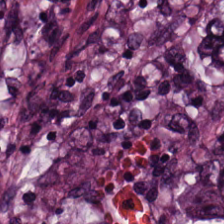0.5 microns per pixel. H&E-stained tissue section. Tissue class = adenocarcinoma.
